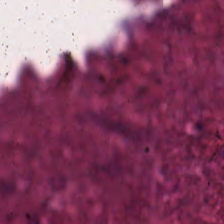224×224 px patch · H&E. Classification: necrotic debris.
